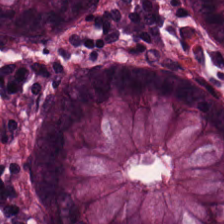H&E · 0.5 microns per pixel.
The predominant tissue is normal colon mucosa.
